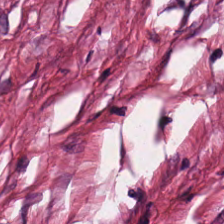{"tissue_type": "desmoplastic stroma"}
